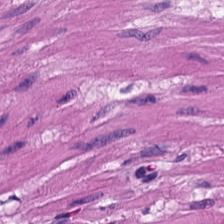{"tissue_type": "muscularis"}
